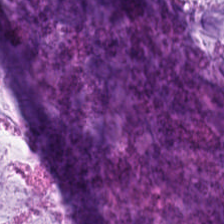224×224 px patch; hematoxylin-and-eosin stained section; 20× equivalent magnification.
Histology — mucus.
